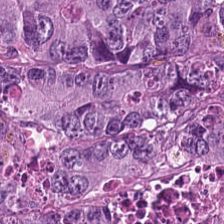Classification: colorectal adenocarcinoma epithelium.
